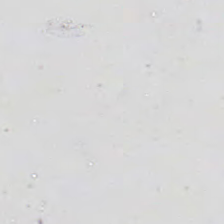H&E stain — Classification: background.
